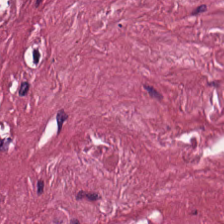0.5 microns per pixel · hematoxylin-and-eosin stained section · 224×224 px tile — Tissue = cancer-associated stroma.
